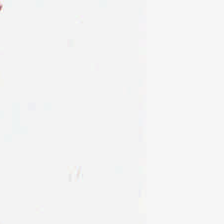Hematoxylin-and-eosin stained section.
Background — no tissue in this field.
